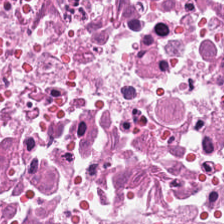Tissue type — debris.
